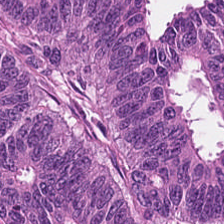Hematoxylin-and-eosin stained section — Showing colorectal adenocarcinoma epithelium.
